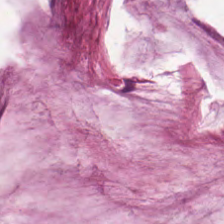Stain: hematoxylin and eosin.
Tissue class: extracellular mucin.
